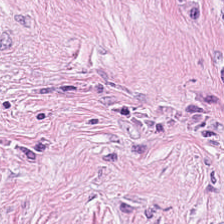H&E stain — Finding — desmoplastic stroma.
